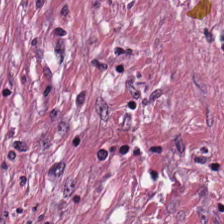0.5 µm per pixel · whole-slide-image patch · H&E stain.
Q: Classify this patch.
A: The field shows tumor-associated stroma.
